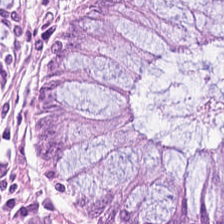This patch shows non-neoplastic colon mucosa.
